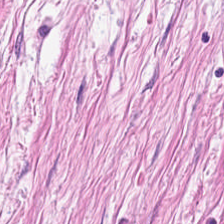Q: Classify this patch.
A: It is desmoplastic stroma.
